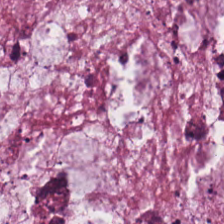Stain: H&E-stained tissue section.
Tissue type: mucin.
